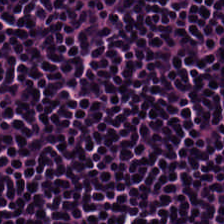Stain: H&E-stained tissue section.
Predominant tissue: lymphocytic infiltrate.
